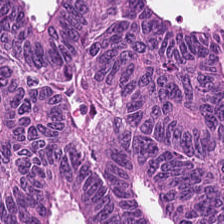0.5 µm/px · H&E stain — The predominant tissue is adenocarcinoma.
